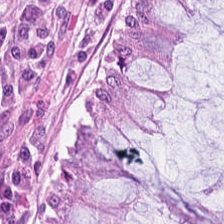The tissue type is benign colonic mucosa.
